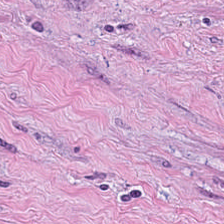H&E stain. 224×224 px patch.
Tumor stroma.
